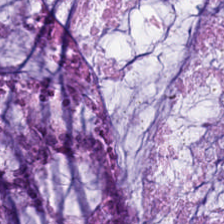WSI patch · 0.5 microns per pixel · hematoxylin and eosin — Q: Identify the tissue.
A: Mucus.
